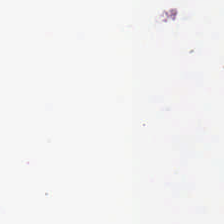The classification is no tissue.
